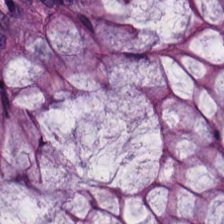Hematoxylin-and-eosin section: normal colon mucosa.
